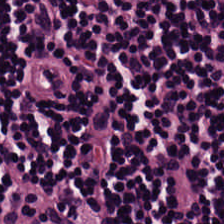H&E stain.
Q: What tissue is shown?
A: The field shows lymphocyte aggregate.
